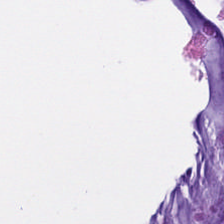0.5 µm/px. H&E. Whole-slide-image patch — This field is mucus.
